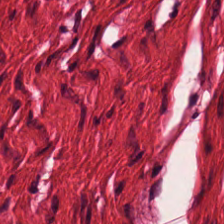H&E.
This field is smooth-muscle tissue.
